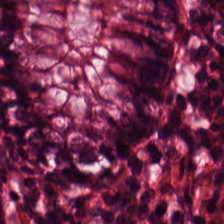Stain: H&E.
Predominant tissue: non-neoplastic colon mucosa.
